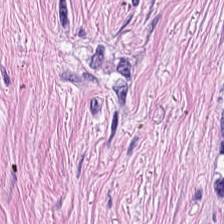0.5 µm/px; H&E stain — Q: What tissue is shown?
A: It is cancer-associated stroma.
